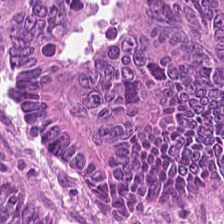Whole-slide-image patch. 224×224 px patch. Hematoxylin and eosin — Impression → malignant epithelium.
